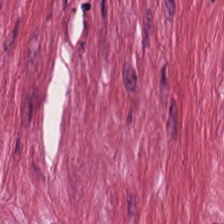Hematoxylin and eosin.
{"tissue_type": "cancer-associated stroma"}
